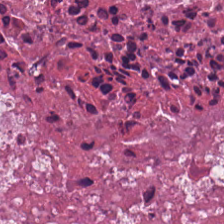H&E patch showing necrotic debris.
